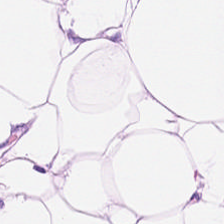0.5 µm/px; H&E-stained tissue section.
Q: What is shown here?
A: It is adipose.
